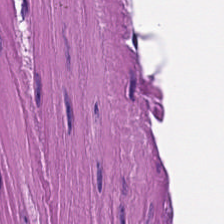Stain: H&E stain.
Predominant tissue: muscularis.
